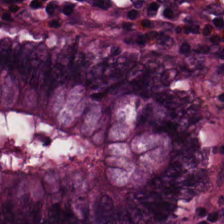0.5 microns per pixel; H&E-stained tissue section.
Finding → benign colonic mucosa.
